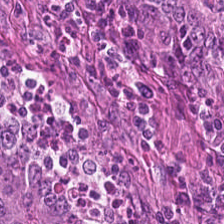Brightfield microscopy. H&E stain — This patch shows colorectal adenocarcinoma.
